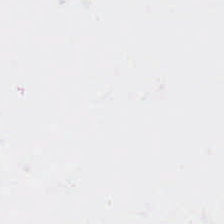Hematoxylin-and-eosin stained section.
The content is no tissue.
